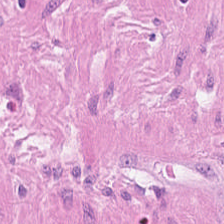This field is smooth muscle.
